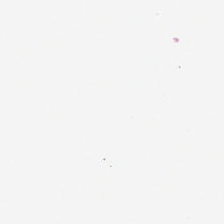224×224 px tile. H&E stain. Impression — background (no tissue).
